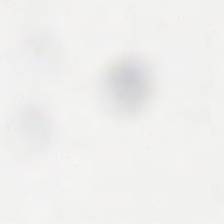Stain: hematoxylin-and-eosin stained section.
Acquisition: brightfield.
Classification: empty background.
